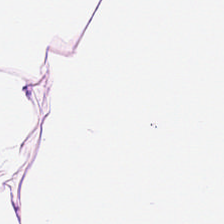H&E-stained tissue section — Q: What is shown here?
A: This is adipocytes.
